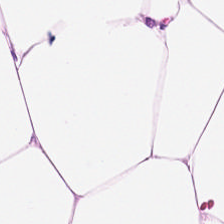Stain: H&E stain.
Tissue class: adipose.
